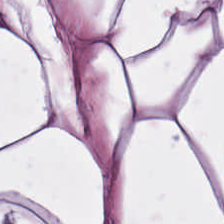H&E. Fat tissue.
